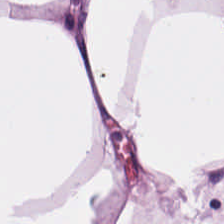This patch shows adipose tissue.
